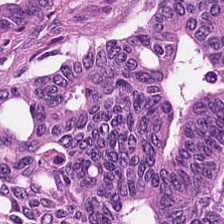Q: Identify the tissue.
A: This is tumor epithelium.
